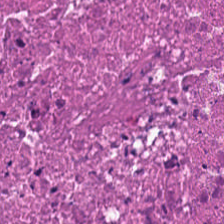Hematoxylin-and-eosin stained section — Finding → debris.
